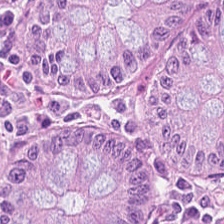Formalin-fixed paraffin-embedded section; hematoxylin and eosin; whole-slide-image patch. Normal colon mucosa.
